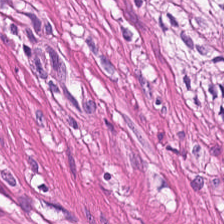H&E-stained tissue section; 224×224 pixel tile.
Smooth muscle.
